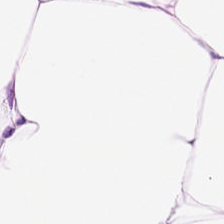Stain: H&E-stained tissue section.
Resolution: 0.5 microns per pixel.
Tile size: 224×224 pixel tile.
Tissue: fat tissue.
